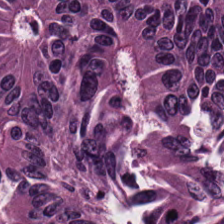Hematoxylin and eosin — Histology — adenocarcinoma.
